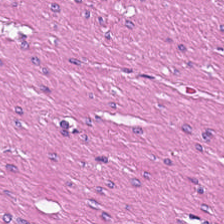H&E-stained tissue section.
This patch shows smooth-muscle tissue.
